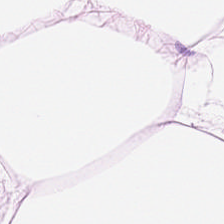H&E-stained tissue section.
Tissue type = adipose tissue.
